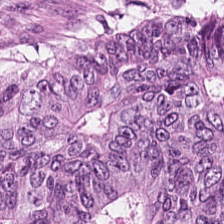Impression — colorectal adenocarcinoma epithelium.
